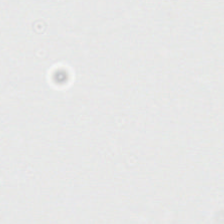Stain: H&E stain.
Field content: background (no tissue).
